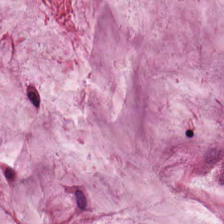Tissue type: mucus.
